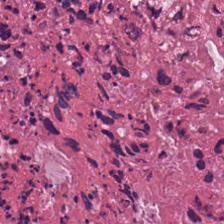Hematoxylin-and-eosin stained section. The tissue here is necrotic debris.
